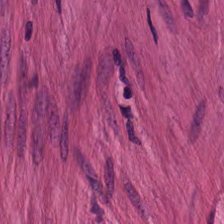WSI patch; H&E; 224×224 pixel tile. Smooth muscle.
